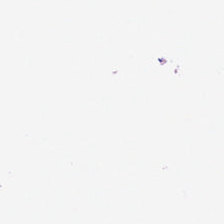Field content = no tissue.
